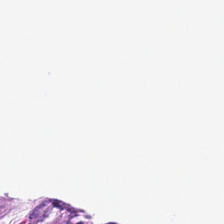Hematoxylin-and-eosin stained section; 0.5 µm/px; formalin-fixed paraffin-embedded section.
Background — no tissue in this field.
